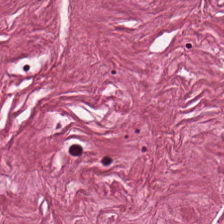224×224 pixel tile. H&E stain. This field is desmoplastic stroma.
